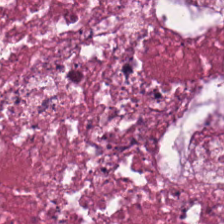The tissue type is debris.
